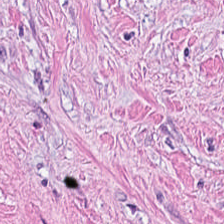Hematoxylin-and-eosin stained section — The predominant tissue is cancer-associated stroma.
